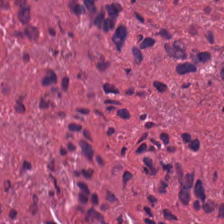H&E-stained tissue section. 224×224 pixel tile.
Q: What is shown in this field?
A: It is debris.
